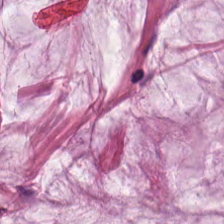H&E.
Q: What does this patch show?
A: It is mucus.
